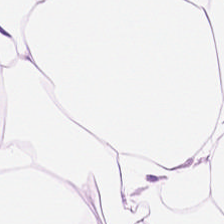Stain: H&E-stained tissue section.
Acquisition: WSI patch.
Resolution: 20× equivalent magnification.
Classification: adipose.
